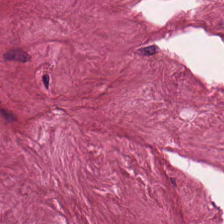Predominantly cancer-associated stroma.
